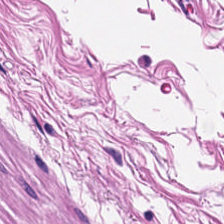H&E stain. 20× equivalent magnification. Brightfield microscopy. Q: What tissue type is shown here?
A: The field shows muscularis.
